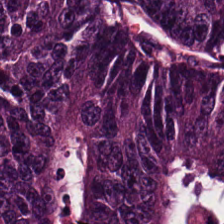H&E-stained tissue section · 224×224 px tile.
The tissue here is colorectal adenocarcinoma epithelium.
